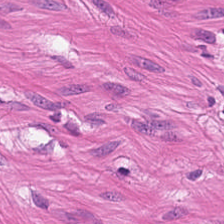Hematoxylin-and-eosin stained section; 224×224 pixel tile.
{"tissue_type": "muscularis"}
